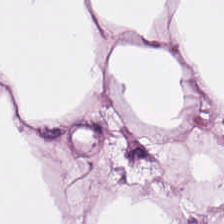H&E. Predominantly adipose.
